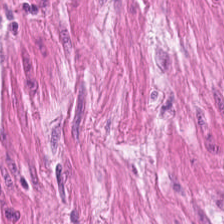20× equivalent magnification. Brightfield microscopy. Hematoxylin-and-eosin stained section. Tissue = smooth muscle.
